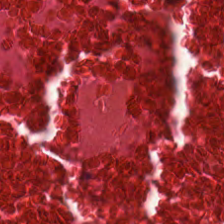H&E stain · 224×224 px patch.
Tissue: cellular debris.
